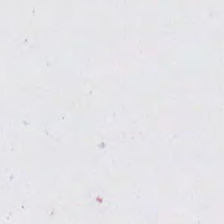The classification is empty background.
